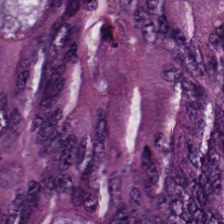224×224 px tile. Hematoxylin and eosin. FFPE.
Adenocarcinoma.
